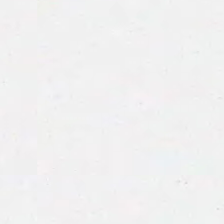Hematoxylin and eosin. Q: What does this patch show?
A: This is no tissue.
